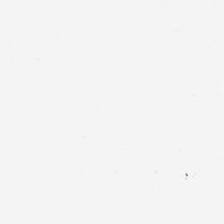Hematoxylin-and-eosin stained section — Empty field — empty background.
